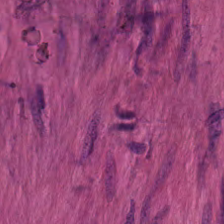H&E stain · 224×224 px patch.
The classification is smooth-muscle tissue.
